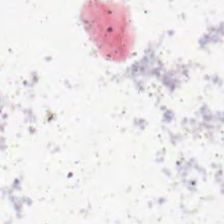Q: What is shown here?
A: The field shows no tissue.
